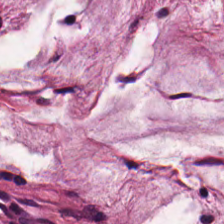Tissue type = mucin.
